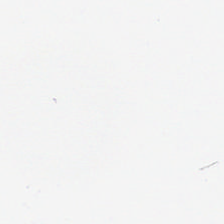The content is background.
